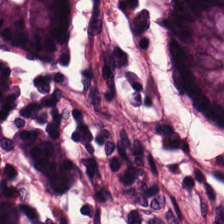Hematoxylin-and-eosin stained section.
Showing normal colonic mucosa.
